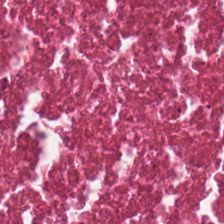Whole-slide-image patch. Hematoxylin-and-eosin stained section. The predominant tissue is cellular debris.
